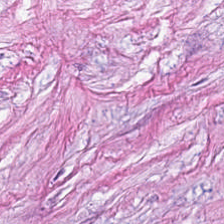Hematoxylin and eosin · FFPE. Q: What type of tissue is this?
A: Tumor stroma.
